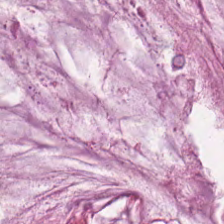FFPE · H&E stain — Tissue class: mucus.
